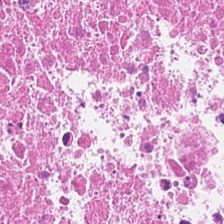0.5 microns per pixel · H&E stain.
Q: Classify this patch.
A: Cellular debris.
